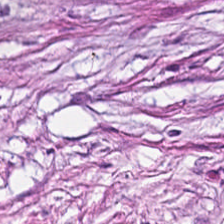Stain: H&E.
Tile size: 224×224 px tile.
Predominant tissue: tumor stroma.
